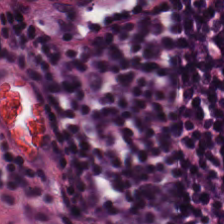Hematoxylin-and-eosin stained section. Q: Identify the tissue.
A: The field shows lymphocyte aggregate.
